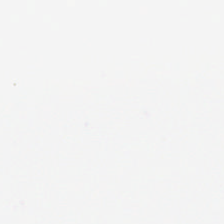H&E stain.
No tissue present; background only.
